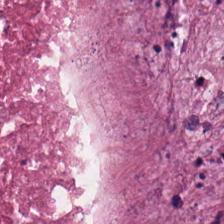Brightfield microscopy · H&E stain. Classification = necrotic debris.
